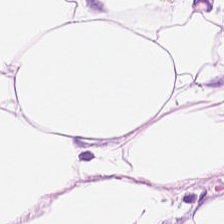Showing fat tissue.
